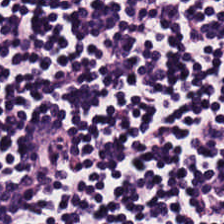Stain: hematoxylin and eosin.
Tissue: lymphoid infiltrate.
